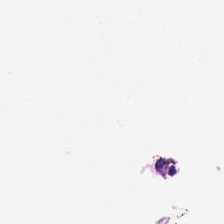Stain: H&E stain.
Tile size: 224×224 px patch.
Content: no tissue.
